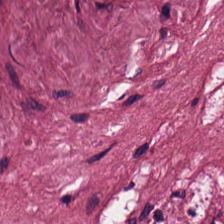Hematoxylin-and-eosin section: cancer-associated stroma.
